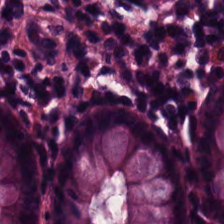H&E-stained tissue section.
Q: Classify this patch.
A: The field shows normal colonic mucosa.
